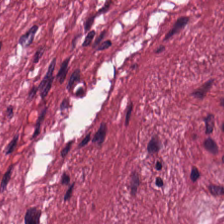Brightfield microscopy · hematoxylin-and-eosin stained section.
Classification — cancer-associated stroma.
